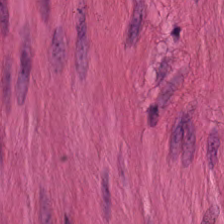224×224 pixel tile. Brightfield microscopy. Hematoxylin and eosin.
This field is smooth-muscle tissue.
